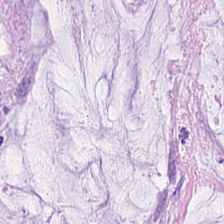H&E. Tissue type: mucus.
